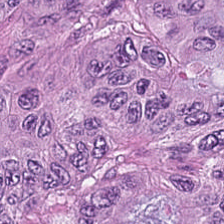H&E. Formalin-fixed paraffin-embedded section — Predominantly colorectal adenocarcinoma epithelium.
